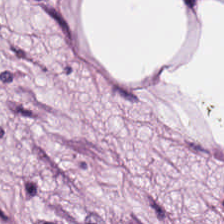0.5 µm per pixel. FFPE. H&E-stained tissue section. Q: Identify the tissue.
A: This is fat tissue.
